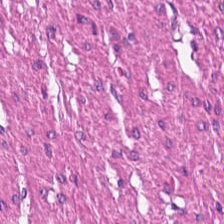Stain: hematoxylin-and-eosin stained section.
Tissue type: muscularis.
